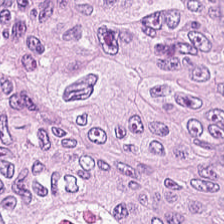Stain: H&E.
Preparation: formalin-fixed paraffin-embedded section.
Tissue type: colorectal adenocarcinoma.
